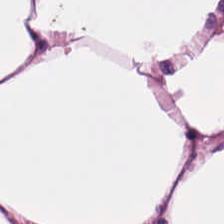Histology — fat tissue.
